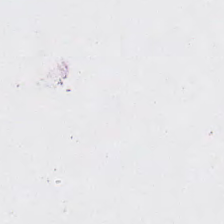FFPE. H&E-stained tissue section — Background (no tissue).
